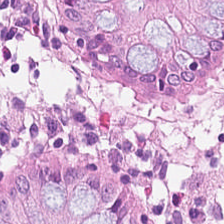This field is normal colon mucosa.
